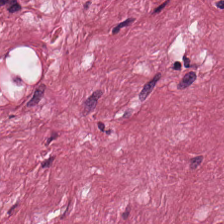Hematoxylin-and-eosin stained section · FFPE.
Q: What type of tissue is this?
A: Cancer-associated stroma.
